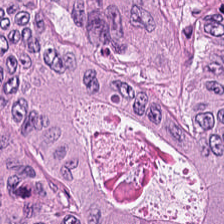H&E-stained tissue section · 224×224 px patch.
Predominantly colorectal adenocarcinoma.
